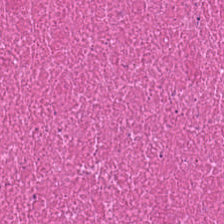H&E stain. Q: What is shown in this field?
A: The field shows cellular debris.
